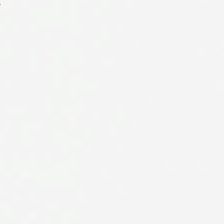FFPE · hematoxylin-and-eosin stained section · 0.5 µm per pixel. Background — no tissue in this field.
